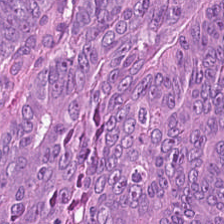FFPE. H&E — Finding → colorectal adenocarcinoma epithelium.
